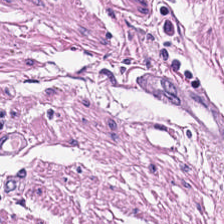Hematoxylin and eosin.
Tissue type: smooth-muscle tissue.
